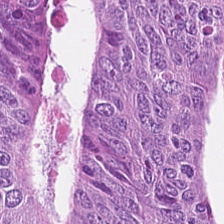H&E stain. Q: What tissue is shown?
A: It is colorectal adenocarcinoma epithelium.
